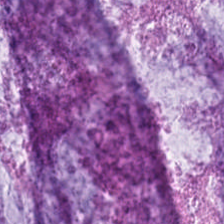H&E.
Predominant tissue — mucus.
